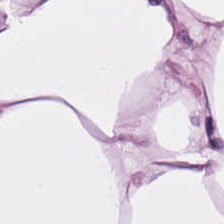224×224 px patch; H&E stain. Tissue type = fat tissue.
